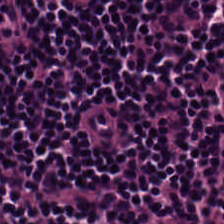Hematoxylin and eosin.
This patch shows lymphoid infiltrate.
